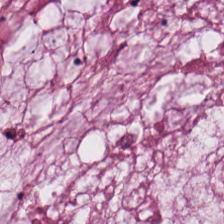Extracellular mucin.
